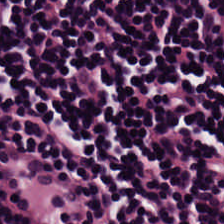Hematoxylin and eosin; 0.5 µm/px. Q: What tissue is shown?
A: It is lymphoid infiltrate.
